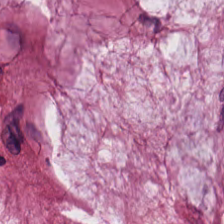H&E stain. Showing mucin.
